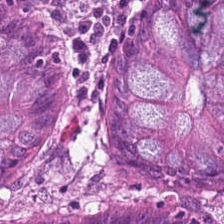0.5 µm/px; H&E stain — Impression — normal colonic mucosa.
